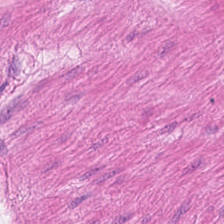H&E stain; whole-slide-image patch; 224×224 px patch — Predominant tissue = smooth-muscle tissue.
